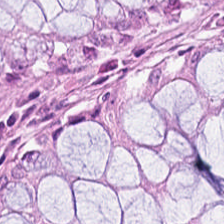H&E-stained tissue section. 224×224 px patch.
{"tissue_type": "normal colon mucosa"}
